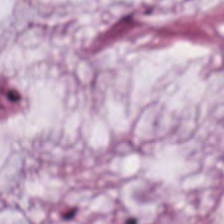20× equivalent magnification · H&E · FFPE tissue section — This patch shows extracellular mucin.
